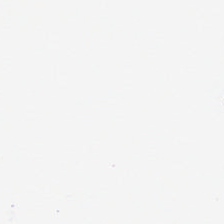0.5 µm/px; hematoxylin-and-eosin stained section — {"content": "empty background"}
